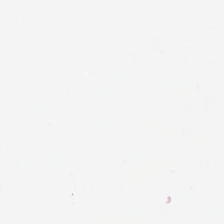Brightfield microscopy; hematoxylin-and-eosin stained section. This patch shows background (no tissue).
